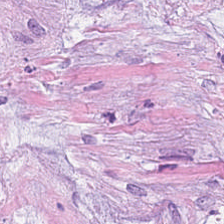WSI patch · hematoxylin and eosin · 224×224 px patch. Classification: mucin.
